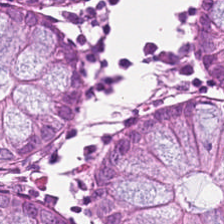Hematoxylin and eosin — Q: What is the predominant tissue type?
A: The field shows benign colonic mucosa.
